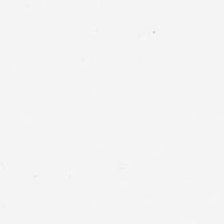Hematoxylin and eosin. {"content": "no tissue"}
